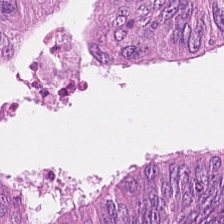Stain: H&E-stained tissue section.
Tissue: adenocarcinoma.
